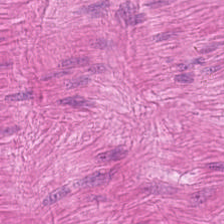Hematoxylin-and-eosin stained section · 20× equivalent magnification · FFPE.
{"tissue_type": "muscularis"}
